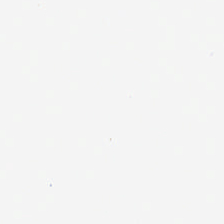Hematoxylin-and-eosin stained section.
Background (no tissue).
